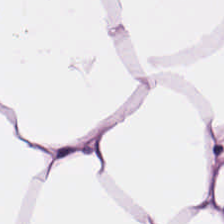Whole-slide-image patch. Hematoxylin and eosin. 224×224 pixel tile — Tissue type: adipose tissue.
